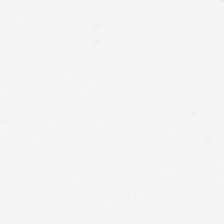Hematoxylin-and-eosin stained section; FFPE; WSI patch — Q: Classify this patch.
A: It is background.
